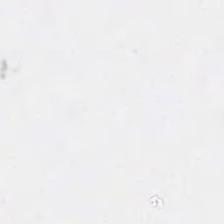FFPE; H&E-stained tissue section — No tissue.
